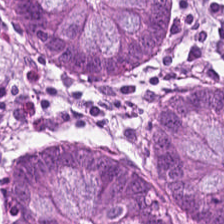224×224 pixel tile; hematoxylin-and-eosin stained section.
This field is normal colon mucosa.
